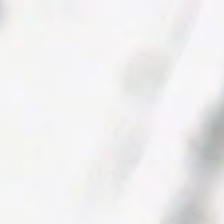Field content = no tissue.
